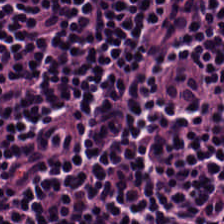Hematoxylin-and-eosin stained section. Brightfield. 224×224 px patch — Q: What tissue is shown?
A: It is lymphocytes.
